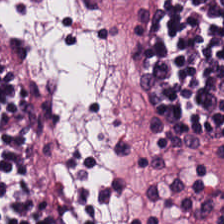0.5 microns per pixel · H&E.
The tissue here is lymphocytes.
